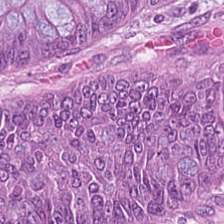H&E stain.
This field is colorectal adenocarcinoma.
